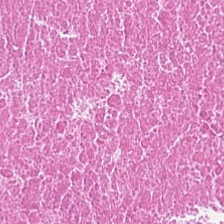H&E-stained tissue section.
Debris.
